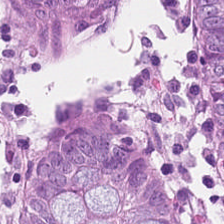224×224 px tile. H&E stain — Classification — normal colonic mucosa.
